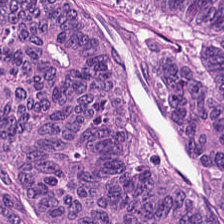Brightfield. Hematoxylin-and-eosin stained section.
Classification — malignant epithelium.
